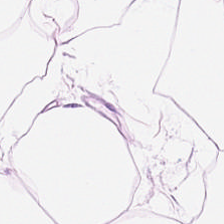H&E.
The tissue class is adipose.
